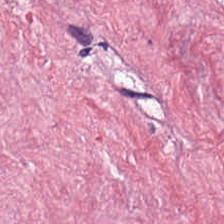Stain: H&E stain.
Tissue class: tumor-associated stroma.
